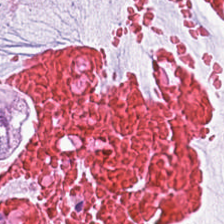Stain: hematoxylin and eosin.
Preparation: FFPE.
Tissue: mucin.
